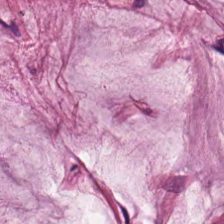The tissue type is mucin.
